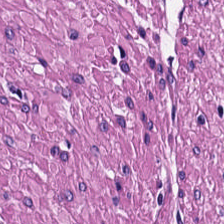Hematoxylin and eosin · FFPE. Histology — smooth-muscle tissue.
